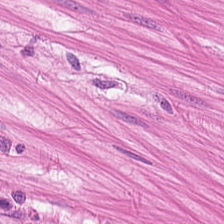H&E stain; formalin-fixed paraffin-embedded section; brightfield microscopy — Impression — muscularis.
